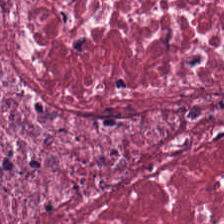Whole-slide-image patch. Hematoxylin and eosin — Classification: cancer-associated stroma.
